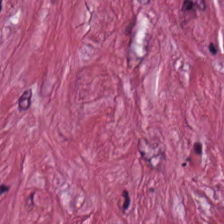224×224 px patch. H&E stain — Tissue: desmoplastic stroma.
